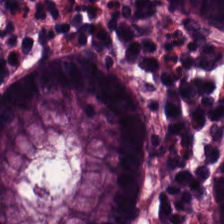Stain: H&E stain.
Preparation: FFPE tissue section.
Tissue type: normal colonic mucosa.
